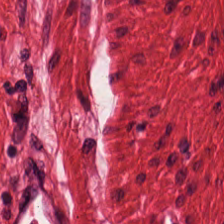Hematoxylin-and-eosin stained section — This patch shows muscularis.
